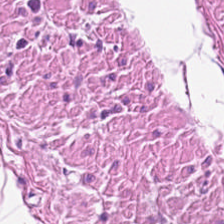0.5 µm/px · H&E · WSI patch. Impression — smooth-muscle tissue.
